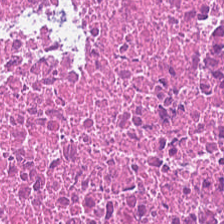Hematoxylin-and-eosin stained section. The tissue here is debris.
